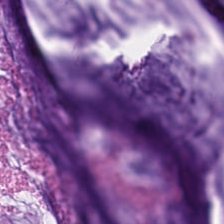FFPE · 224×224 px tile · H&E stain.
Mucus.
